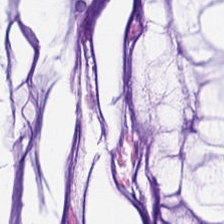224×224 pixel tile. H&E. Showing mucin.
